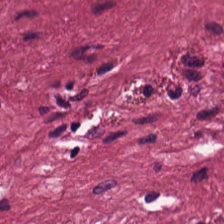H&E. Impression — tumor-associated stroma.
